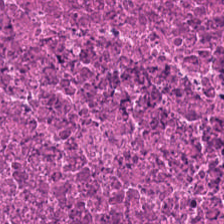0.5 microns per pixel. Hematoxylin-and-eosin stained section — Classification — cellular debris.
